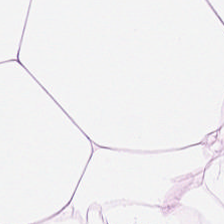Tissue — fat tissue.
